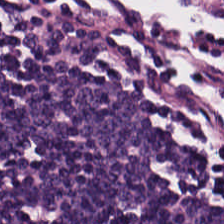H&E stain — This patch shows lymphocytes.
